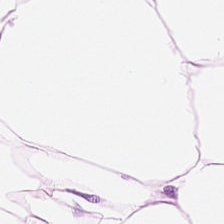The tissue is adipose tissue.
